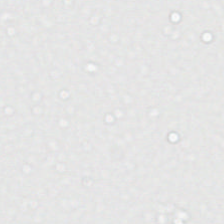20× equivalent magnification · H&E-stained tissue section · FFPE — Background.
